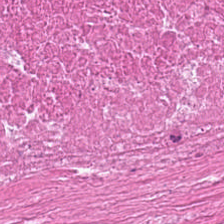The tissue type is cellular debris.
